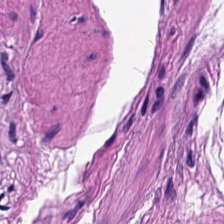20× equivalent magnification · H&E stain.
Histology — muscularis.
